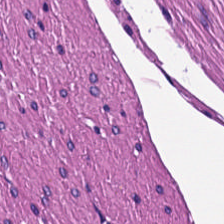224×224 pixel tile · hematoxylin-and-eosin stained section · FFPE.
This field is muscularis.
